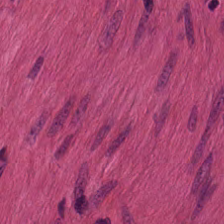Q: What does this patch show?
A: This is muscularis.
